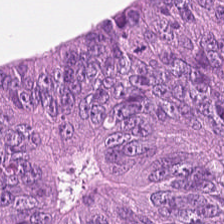H&E — Finding — adenocarcinoma.
